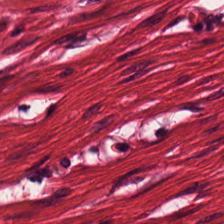Brightfield · H&E-stained tissue section.
Q: Identify the tissue.
A: The field shows muscularis.
